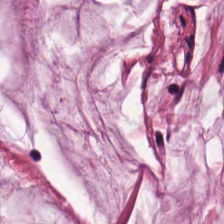H&E-stained tissue section. Tissue — mucin.
